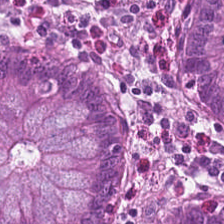H&E stain — Tissue type = normal colon mucosa.
